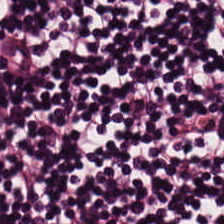Hematoxylin-and-eosin stained section — Tissue class = lymphocyte aggregate.
